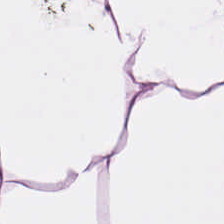{"tissue_type": "adipose"}
